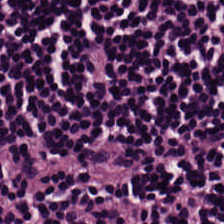Hematoxylin and eosin; 0.5 µm per pixel; formalin-fixed paraffin-embedded section — Q: Classify this patch.
A: It is lymphocyte aggregate.
